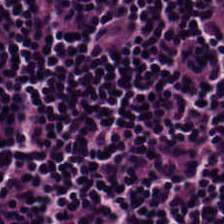Tissue class = lymphoid infiltrate.
